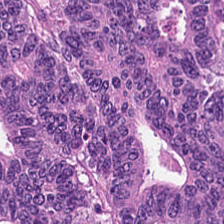Finding — malignant epithelium.
